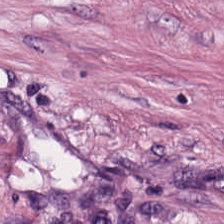H&E. 0.5 µm per pixel — The tissue type is tumor stroma.
